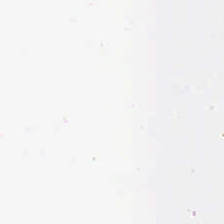Stain: H&E.
Field content: background.
